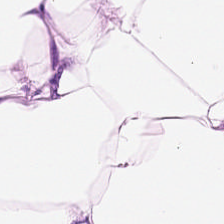Stain: hematoxylin-and-eosin stained section.
Tissue class: adipose tissue.
